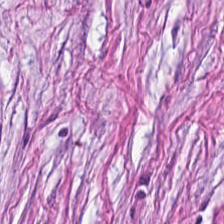H&E; 224×224 px tile.
Histology — tumor-associated stroma.
